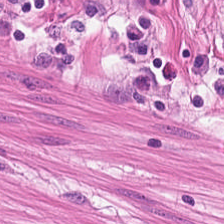Q: What does this patch show?
A: Smooth muscle.
